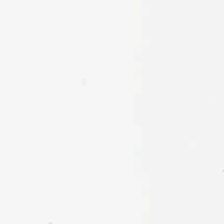H&E stain. No tissue present; background only.
